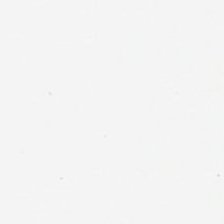The classification is background.
